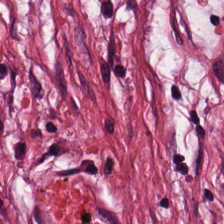H&E stain — Tissue = tumor stroma.
